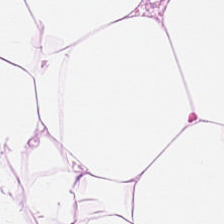Hematoxylin-and-eosin stained section. FFPE. Q: What is shown here?
A: Adipose tissue.
